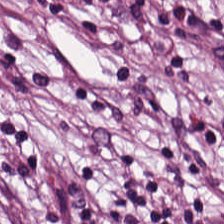224×224 px patch; H&E-stained tissue section — {"tissue_type": "cancer-associated stroma"}
